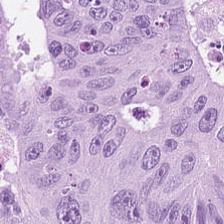Brightfield; hematoxylin and eosin.
The tissue type is colorectal adenocarcinoma epithelium.
